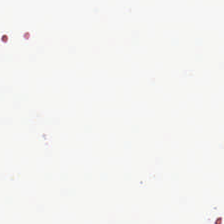Stain: H&E-stained tissue section.
Classification: background.
